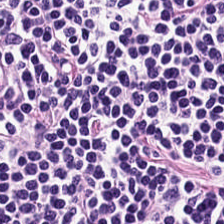H&E stain — Predominantly lymphocytic infiltrate.
